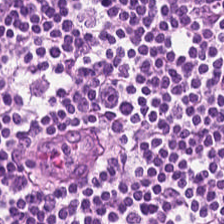H&E stain. Showing lymphocyte aggregate.
